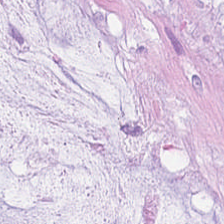H&E-stained tissue section.
Q: Identify the tissue.
A: Extracellular mucin.
